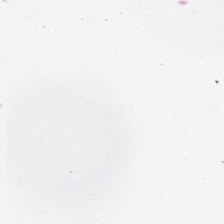H&E. Content: no tissue.
